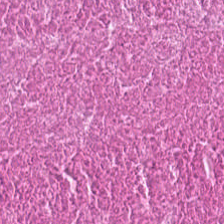Stain: hematoxylin-and-eosin stained section.
Classification: debris.
